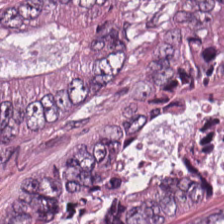224×224 pixel tile; 20× equivalent magnification; H&E-stained tissue section.
{"tissue_type": "tumor epithelium"}
